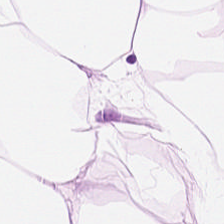WSI patch; hematoxylin-and-eosin stained section; 20× equivalent magnification. Predominantly fat tissue.
